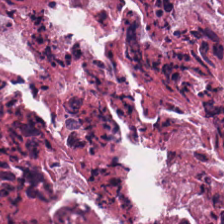The predominant tissue is cellular debris.
